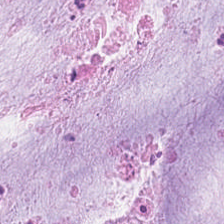224×224 px patch. H&E-stained tissue section. The predominant tissue is mucin.
